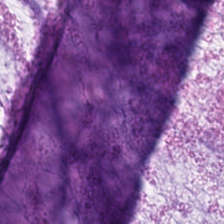H&E-stained tissue section. 224×224 pixel tile.
Predominant tissue = mucus.
